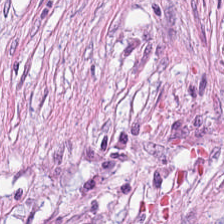H&E-stained tissue section.
Finding → tumor-associated stroma.
